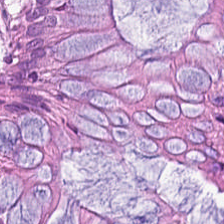Brightfield microscopy · H&E stain.
Impression → benign colonic mucosa.
